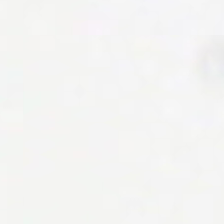H&E-stained tissue section.
This patch shows no tissue.
